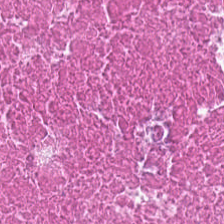WSI patch; 224×224 px tile; H&E stain — {"tissue_type": "necrotic debris"}
